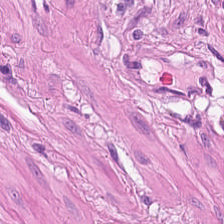Predominant tissue: muscularis.
